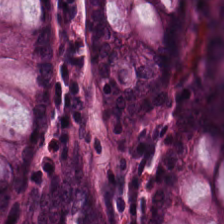H&E stain. Brightfield.
Impression → benign colonic mucosa.
